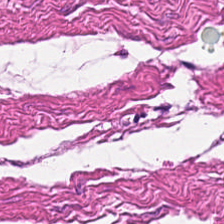Brightfield microscopy. Hematoxylin and eosin. 0.5 µm per pixel — Histology — muscularis.
